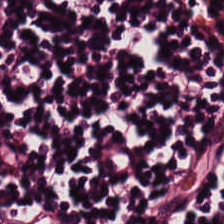Hematoxylin-and-eosin stained section — Classification: lymphocytic infiltrate.
